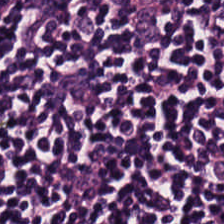Hematoxylin-and-eosin stained section.
The predominant tissue is lymphocyte aggregate.
